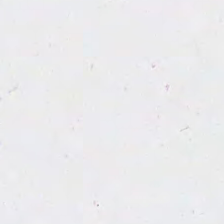H&E-stained tissue section · 224×224 px tile · 0.5 µm per pixel. Field content = no tissue.
